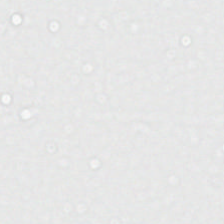Hematoxylin-and-eosin stained section — Field content = background.
